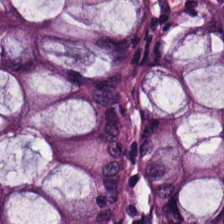Showing benign colonic mucosa.
